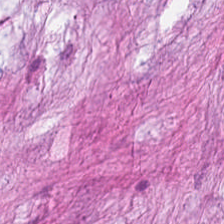H&E-stained tissue section. FFPE.
The predominant tissue is desmoplastic stroma.
